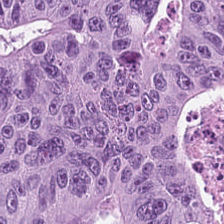0.5 µm per pixel; hematoxylin-and-eosin stained section. The classification is tumor epithelium.
